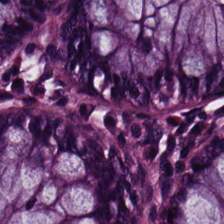0.5 µm/px; H&E-stained tissue section.
Classification — normal colonic mucosa.
